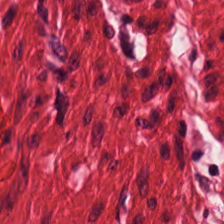Hematoxylin-and-eosin stained section. Predominant tissue = smooth-muscle tissue.
